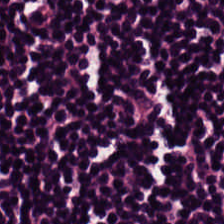H&E stain.
Q: What is shown in this field?
A: Lymphoid infiltrate.
